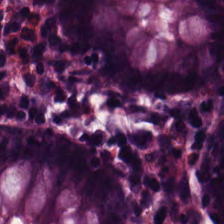Hematoxylin and eosin. Impression — normal colonic mucosa.
